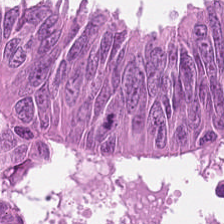Classification = tumor epithelium.
